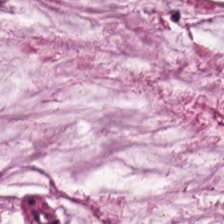Brightfield. 20× equivalent magnification. Hematoxylin-and-eosin stained section.
The tissue here is mucus.
